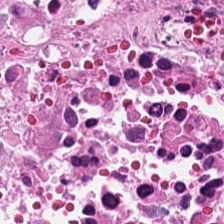H&E-stained tissue section. Showing necrotic debris.
